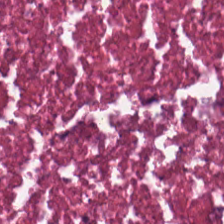H&E-stained tissue section — This patch shows debris.
